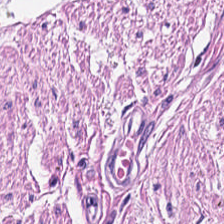H&E · 224×224 px tile · FFPE tissue section. Tissue type — muscularis.
